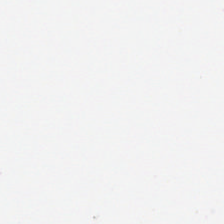Hematoxylin-and-eosin stained section. Q: Classify this patch.
A: The field shows empty background.
